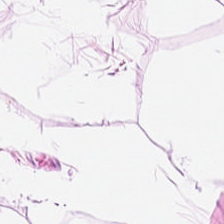Hematoxylin-and-eosin stained section. This patch shows fat tissue.
